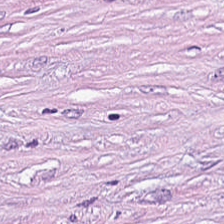The classification is cancer-associated stroma.
